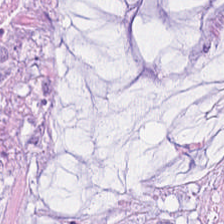Showing mucus.
